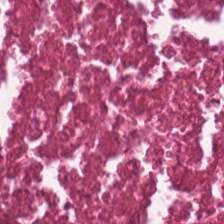Brightfield · hematoxylin and eosin. This field is necrotic debris.
